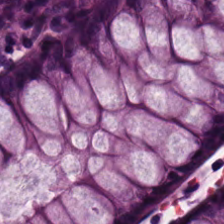H&E stain. WSI patch. {"tissue_type": "benign colonic mucosa"}
